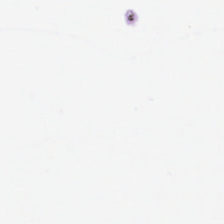This field is background (no tissue).
